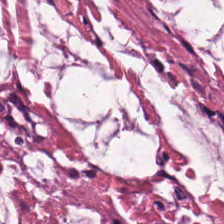224×224 px patch. Brightfield microscopy. H&E-stained tissue section — Extracellular mucin.
